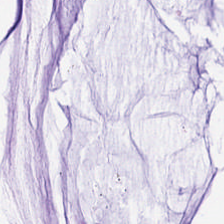Hematoxylin and eosin — Predominant tissue: mucus.
